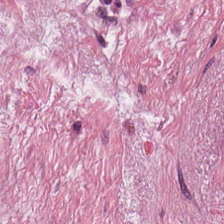Hematoxylin and eosin.
{"tissue_type": "cancer-associated stroma"}
